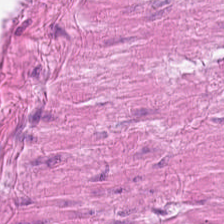Q: What is the predominant tissue type?
A: This is smooth muscle.
